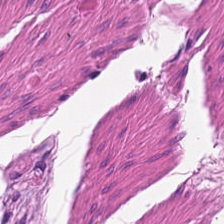Stain: H&E-stained tissue section.
Predominant tissue: smooth-muscle tissue.
